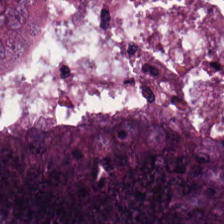H&E stain — This field is tumor epithelium.
